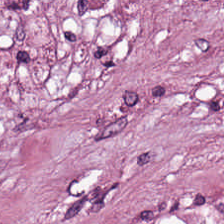H&E. The predominant tissue is tumor stroma.
